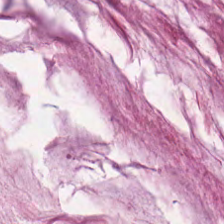20× equivalent magnification. Hematoxylin-and-eosin stained section. This field is mucin.
